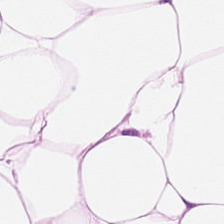Brightfield microscopy. 224×224 px tile. H&E stain.
The tissue here is adipose.
